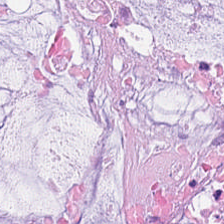H&E-stained tissue section. This field is mucus.
